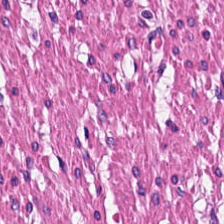H&E-stained tissue section. Predominantly smooth muscle.
